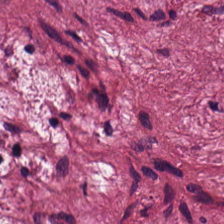Histology → tumor stroma.
